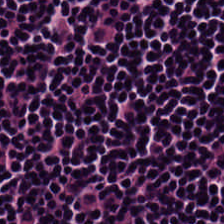H&E.
The predominant tissue is lymphocytes.
